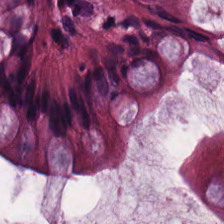H&E-stained tissue section. This field is normal colon mucosa.
